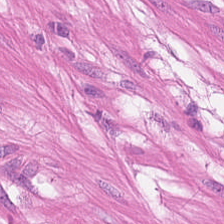Hematoxylin-and-eosin stained section.
Smooth-muscle tissue.
